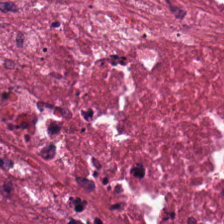H&E-stained tissue section. FFPE tissue section. Brightfield. Predominantly debris.
